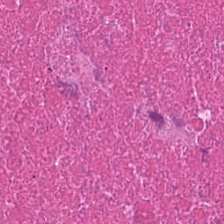Q: What does this patch show?
A: It is necrotic debris.
